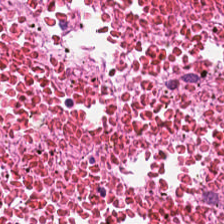224×224 pixel tile; H&E stain.
Q: What is shown here?
A: The field shows debris.
